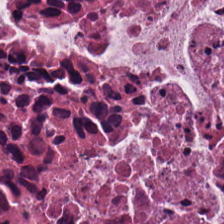H&E-stained tissue section · brightfield. Predominant tissue = debris.
